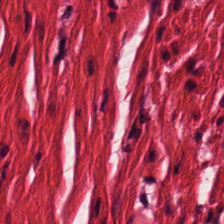H&E patch showing smooth-muscle tissue.
